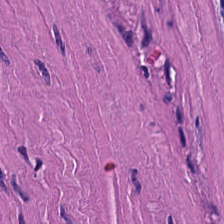H&E — smooth muscle.
